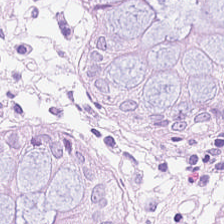0.5 µm/px · H&E-stained tissue section · brightfield microscopy. {"tissue_type": "benign colonic mucosa"}
